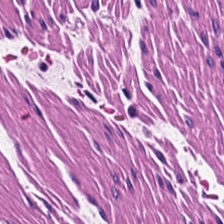Hematoxylin and eosin. Predominantly muscularis.
